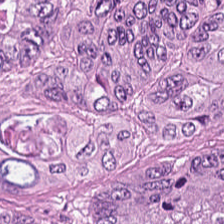H&E-stained tissue section.
Q: Identify the tissue.
A: This is malignant epithelium.
